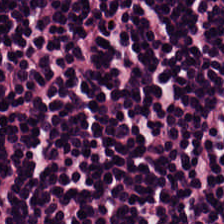Q: What type of tissue is this?
A: The field shows lymphocyte aggregate.
